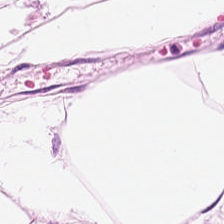Hematoxylin and eosin.
Predominantly adipose.
